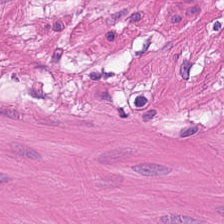Hematoxylin-and-eosin stained section — This patch shows smooth-muscle tissue.
